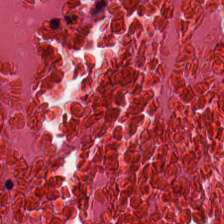H&E-stained tissue section; whole-slide-image patch.
Tissue class = debris.
